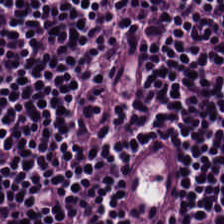H&E-stained tissue section. Tissue class — lymphoid infiltrate.
